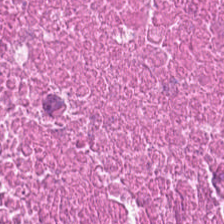Brightfield; hematoxylin-and-eosin stained section; formalin-fixed paraffin-embedded section.
Finding — debris.
